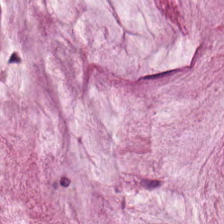H&E-stained tissue section.
This patch shows mucin.
